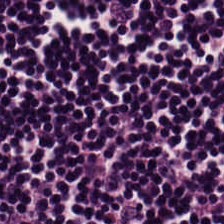Brightfield. Hematoxylin-and-eosin stained section. 224×224 px patch — Q: Classify this patch.
A: Lymphocytic infiltrate.
